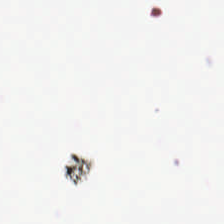Hematoxylin and eosin.
The field content is empty background.
